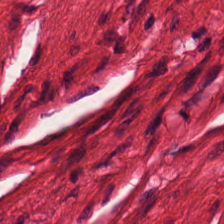Predominantly smooth-muscle tissue.
